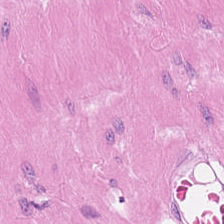Brightfield microscopy. H&E. Showing smooth muscle.
